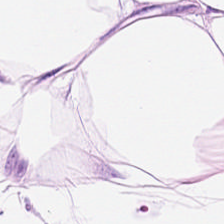Hematoxylin-and-eosin stained section — Adipose.
